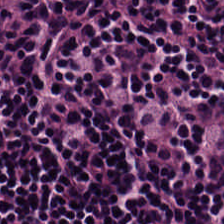H&E.
Lymphoid infiltrate.
